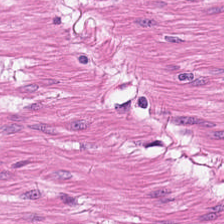Hematoxylin and eosin.
{"tissue_type": "smooth muscle"}
